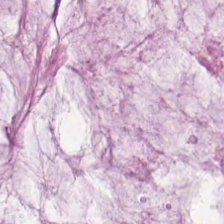H&E — Mucin.
